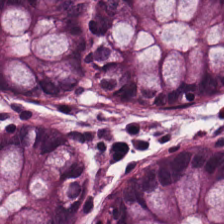Stain: H&E.
Tissue class: normal colon mucosa.
